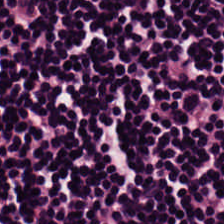Stain: hematoxylin and eosin.
Predominant tissue: lymphocyte aggregate.
